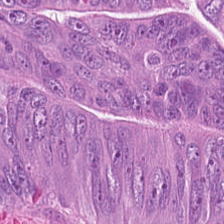224×224 px tile; 0.5 µm/px; hematoxylin-and-eosin stained section — Predominantly adenocarcinoma.
